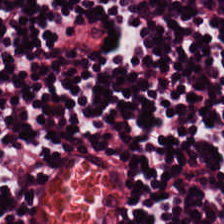0.5 µm per pixel · H&E. Showing lymphocyte aggregate.
